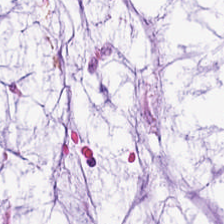Brightfield microscopy; H&E-stained tissue section; formalin-fixed paraffin-embedded section.
Tissue: mucus.
